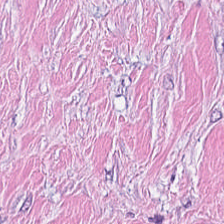Brightfield microscopy. Hematoxylin and eosin. Tissue type — desmoplastic stroma.
